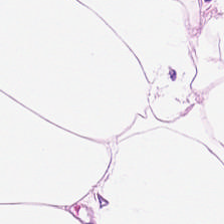Brightfield. 0.5 µm per pixel. H&E.
This field is adipose tissue.
